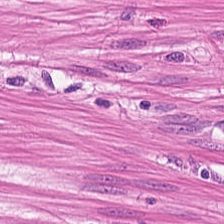H&E. {"tissue_type": "smooth muscle"}
